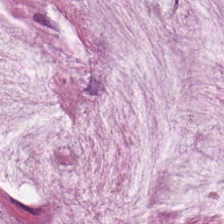Whole-slide-image patch · hematoxylin and eosin · 224×224 pixel tile. Histology — mucin.
